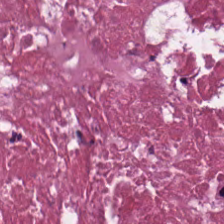Tissue type = debris.
